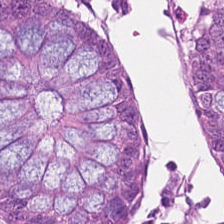Tissue type: benign colonic mucosa.
